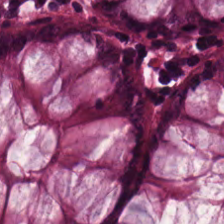0.5 microns per pixel; 224×224 px patch; hematoxylin and eosin — Impression → normal colonic mucosa.
